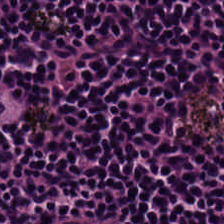224×224 pixel tile · H&E. Q: Classify this patch.
A: Lymphocytes.
